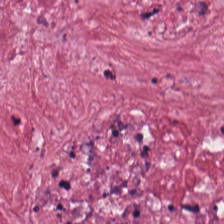Q: Classify this patch.
A: This is tumor stroma.
